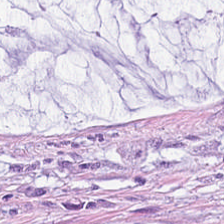Stain: H&E.
Tissue: mucin.
